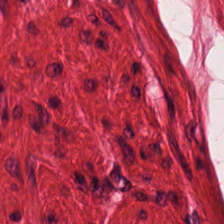H&E-stained tissue section · FFPE tissue section · 224×224 px patch — Tissue class: muscularis.
